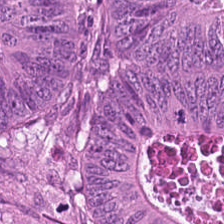Hematoxylin and eosin. Impression → tumor epithelium.
